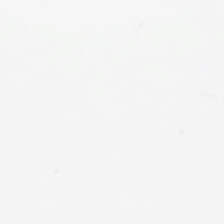Hematoxylin and eosin — Background.
